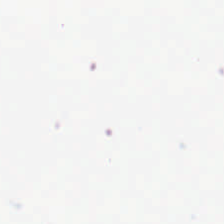Formalin-fixed paraffin-embedded section; 0.5 microns per pixel; hematoxylin and eosin — The classification is empty background.
